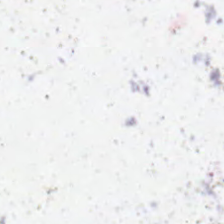H&E stain — Impression → background.
